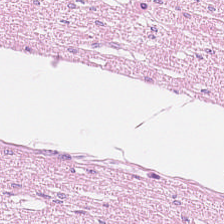H&E.
Tissue — smooth muscle.
